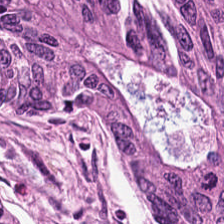H&E. Classification = colorectal adenocarcinoma epithelium.
